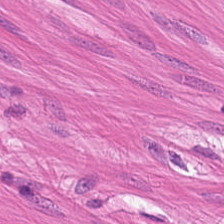Classification — muscularis.
